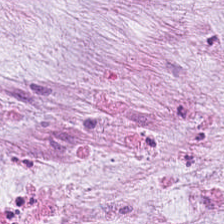Hematoxylin-and-eosin stained section. Predominantly mucus.
